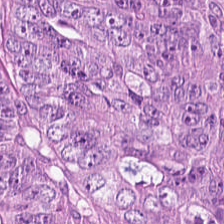H&E-stained tissue section. Showing malignant epithelium.
